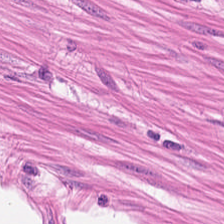H&E-stained tissue section — Q: What type of tissue is this?
A: This is muscularis.
